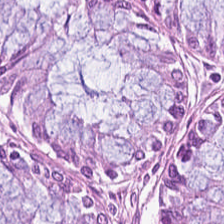Stain: hematoxylin and eosin.
Resolution: 0.5 µm/px.
Tissue: non-neoplastic colon mucosa.
